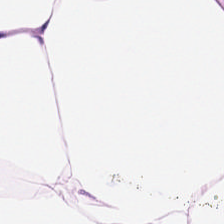Stain: H&E-stained tissue section.
Tissue: fat tissue.
